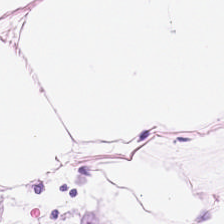H&E-stained tissue section · brightfield.
Tissue — adipose tissue.
